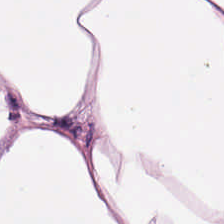Hematoxylin-and-eosin stained section. WSI patch. 0.5 µm/px.
Q: What type of tissue is this?
A: The field shows adipocytes.
